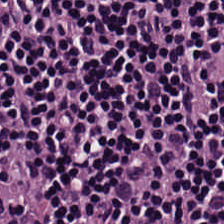Stain: H&E-stained tissue section.
Tissue: lymphocyte aggregate.
